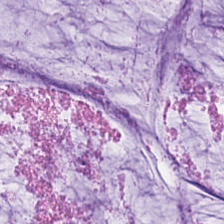The predominant tissue is mucus.
